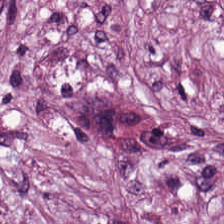Hematoxylin and eosin. The tissue here is desmoplastic stroma.
